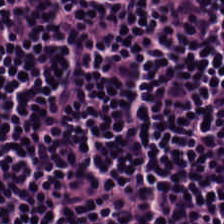Q: What is the predominant tissue type?
A: The field shows lymphocytes.
